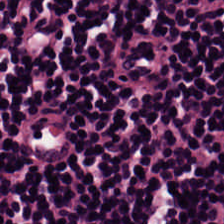20× equivalent magnification; H&E-stained tissue section.
The predominant tissue is lymphocytes.
